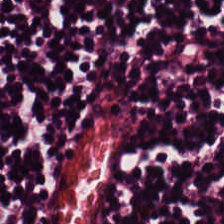Hematoxylin and eosin.
Finding → lymphocytes.
